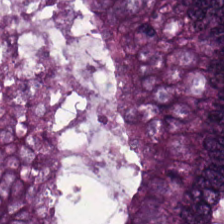Predominantly colorectal adenocarcinoma.
